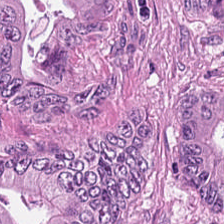H&E. The tissue here is tumor epithelium.
